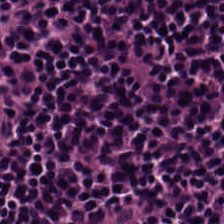Brightfield. Formalin-fixed paraffin-embedded section. Hematoxylin and eosin — This patch shows lymphocytes.
